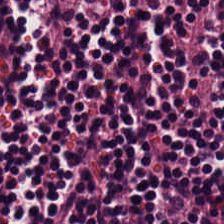H&E. Whole-slide-image patch.
Lymphocytes.
